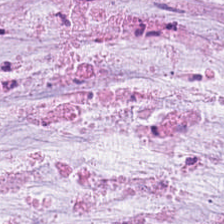H&E-stained tissue section.
Q: What type of tissue is this?
A: The field shows mucin.
